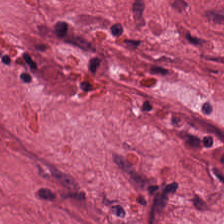H&E.
Predominant tissue = cancer-associated stroma.
